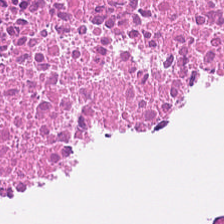Hematoxylin-and-eosin stained section. {"tissue_type": "debris"}
